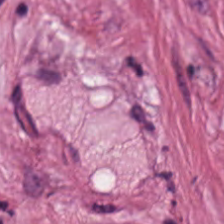Hematoxylin and eosin · FFPE tissue section. This field is tumor-associated stroma.
